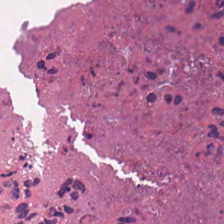H&E stain; FFPE; WSI patch. Q: What is shown in this field?
A: This is debris.
